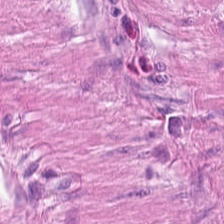H&E — {"tissue_type": "smooth-muscle tissue"}
